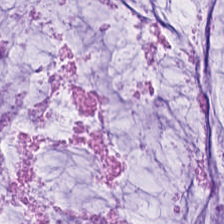H&E stain. Q: What is shown in this field?
A: It is mucin.
